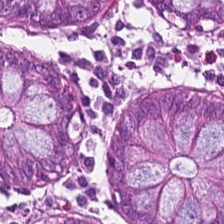H&E — The tissue here is non-neoplastic colon mucosa.
